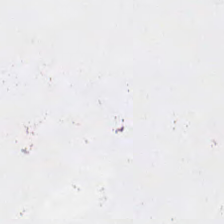20× equivalent magnification · whole-slide-image patch · H&E-stained tissue section. This field is background (no tissue).
